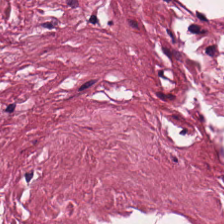20× equivalent magnification. H&E-stained tissue section.
Cancer-associated stroma.
